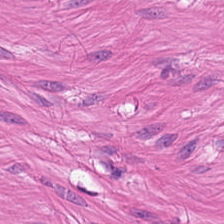0.5 µm per pixel · H&E stain. Q: What is shown in this field?
A: Smooth-muscle tissue.
